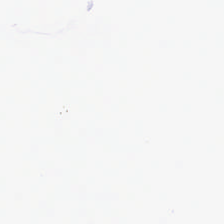Stain: hematoxylin-and-eosin stained section.
Content: empty background.
